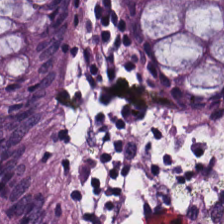224×224 pixel tile. Hematoxylin and eosin.
Showing non-neoplastic colon mucosa.
